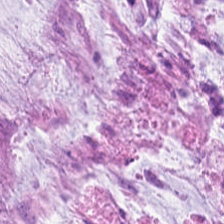Hematoxylin-and-eosin stained section; 0.5 microns per pixel; brightfield microscopy.
The tissue type is mucus.
